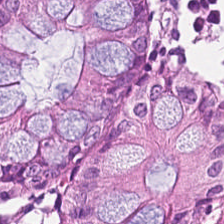H&E-stained tissue section. The tissue here is non-neoplastic colon mucosa.
